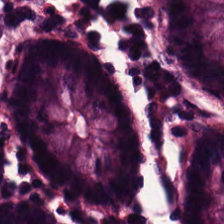Hematoxylin-and-eosin stained section. Tissue type = non-neoplastic colon mucosa.
